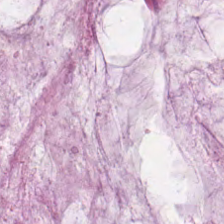Hematoxylin and eosin.
Impression → mucin.
